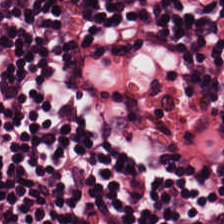FFPE tissue section; hematoxylin and eosin — Impression → lymphocytic infiltrate.
